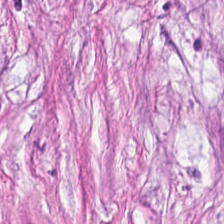H&E; 0.5 µm/px.
Histology — tumor stroma.
